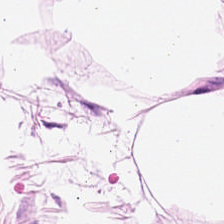224×224 px tile. Brightfield. Hematoxylin-and-eosin stained section. This patch shows fat tissue.
